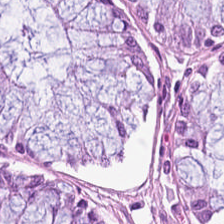Tissue type — benign colonic mucosa.
